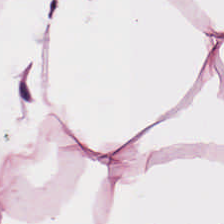H&E stain — Adipocytes.
